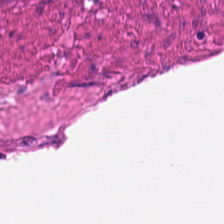H&E — smooth muscle.
